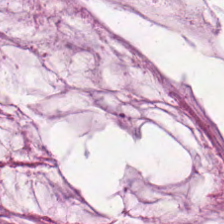Hematoxylin and eosin — {"tissue_type": "mucin"}
